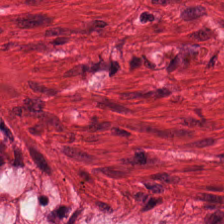0.5 µm/px · H&E-stained tissue section — Tissue class = smooth-muscle tissue.
